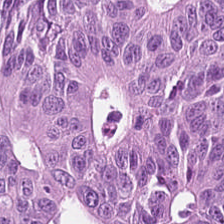Tissue type — colorectal adenocarcinoma epithelium.
